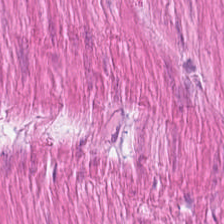Hematoxylin-and-eosin section: smooth-muscle tissue.
